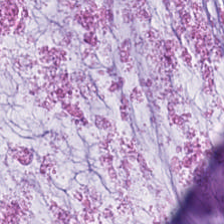Hematoxylin and eosin. Whole-slide-image patch — This patch shows mucus.
